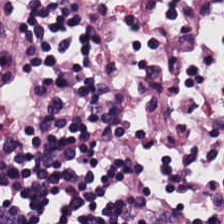Finding → lymphocytes.
